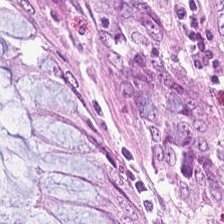Hematoxylin and eosin. Brightfield microscopy — The tissue here is normal colonic mucosa.
